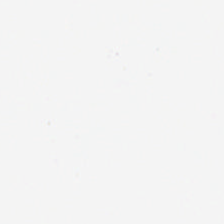H&E stain.
Finding — empty background.
